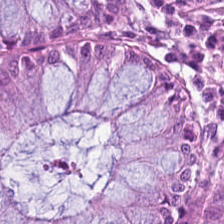Hematoxylin-and-eosin stained section.
{"tissue_type": "normal colonic mucosa"}
